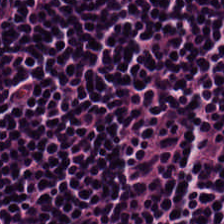Hematoxylin-and-eosin stained section; 0.5 microns per pixel.
Q: What is shown in this field?
A: This is lymphocytic infiltrate.
